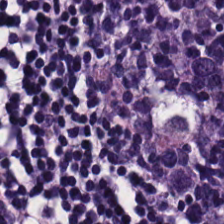Hematoxylin-and-eosin stained section. Showing lymphocytes.
